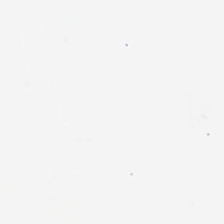Content = no tissue.
